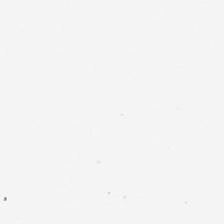0.5 microns per pixel. Hematoxylin and eosin — Q: Classify this patch.
A: This is empty background.
